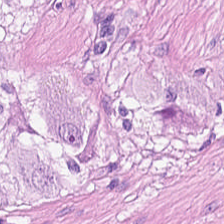Finding → smooth muscle.
